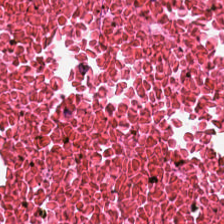Hematoxylin and eosin.
This field is necrotic debris.
